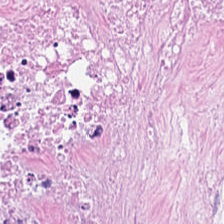Classification = cellular debris.
